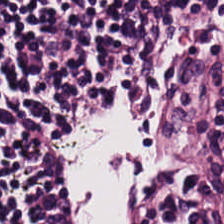Q: What is shown here?
A: Lymphocytes.
